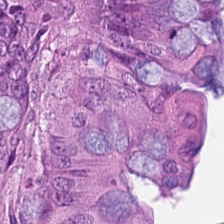224×224 px patch; H&E.
This field is malignant epithelium.
